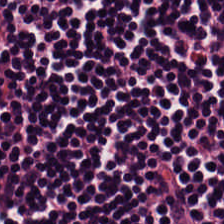{"tissue_type": "lymphocytes"}
